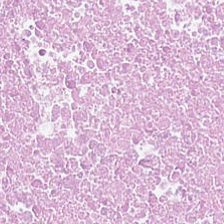Classification: cellular debris.
